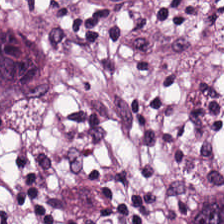Hematoxylin and eosin — Tissue type = tumor stroma.
